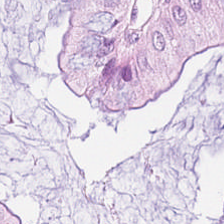Stain: hematoxylin and eosin.
Tile size: 224×224 px patch.
Acquisition: brightfield microscopy.
Tissue type: benign colonic mucosa.
